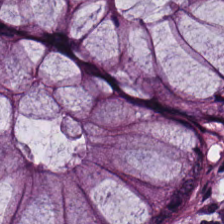H&E — {"tissue_type": "normal colonic mucosa"}
